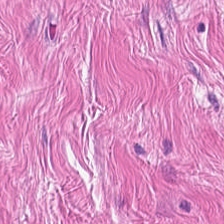H&E-stained tissue section — Impression — muscularis.
